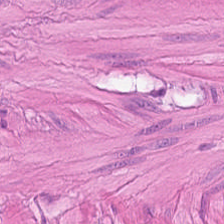Hematoxylin and eosin.
Tissue: smooth muscle.
